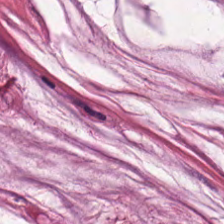H&E — Tissue class: mucus.
